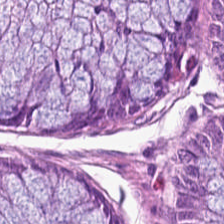H&E stain · FFPE. The predominant tissue is normal colon mucosa.
